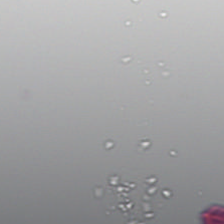Stain: H&E stain.
Preparation: formalin-fixed paraffin-embedded section.
Field content: background (no tissue).
